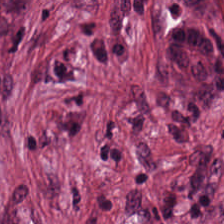Hematoxylin-and-eosin stained section. FFPE. 224×224 pixel tile. Tumor stroma.
